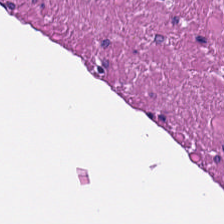Whole-slide-image patch · hematoxylin and eosin.
Predominantly muscularis.
